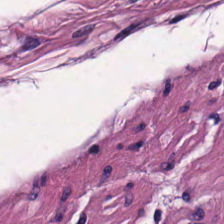Hematoxylin and eosin. 0.5 µm per pixel. The tissue is smooth-muscle tissue.
